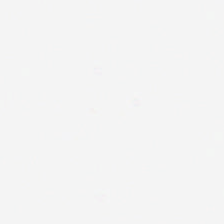Hematoxylin-and-eosin stained section.
Empty background.
